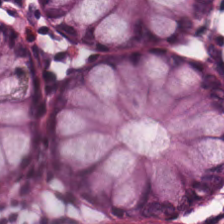Hematoxylin-and-eosin stained section.
This field is benign colonic mucosa.
